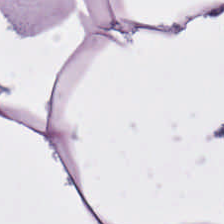Stain: H&E-stained tissue section.
Tissue type: adipose tissue.
